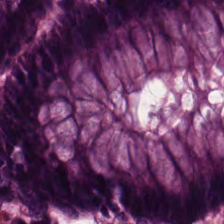Stain: hematoxylin-and-eosin stained section.
Predominant tissue: benign colonic mucosa.
